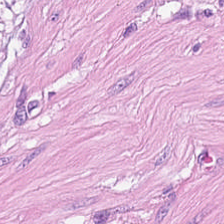Smooth-muscle tissue.
